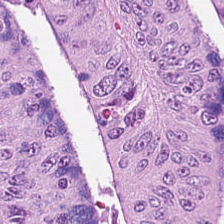H&E-stained tissue section; FFPE.
Q: What does this patch show?
A: It is malignant epithelium.
